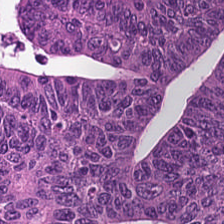Hematoxylin-and-eosin stained section · 0.5 µm per pixel — Q: What tissue type is shown here?
A: It is adenocarcinoma.
